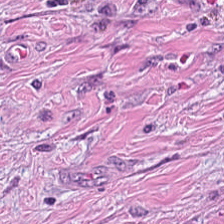Stain: H&E stain.
Classification: tumor-associated stroma.
